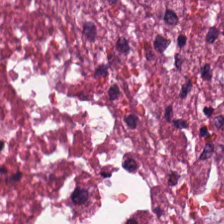H&E stain.
Tissue: debris.
